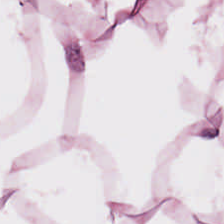FFPE tissue section · hematoxylin-and-eosin stained section. This patch shows fat tissue.
